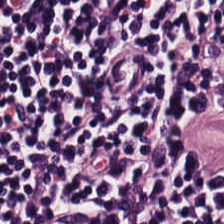H&E-stained tissue section — Q: What type of tissue is this?
A: Lymphocytes.
